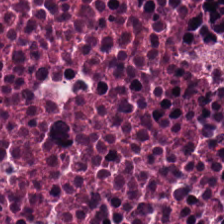Stain: H&E.
Preparation: FFPE.
Tile size: 224×224 pixel tile.
Predominant tissue: debris.
